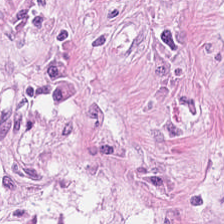Formalin-fixed paraffin-embedded section; H&E stain. Tissue class = tumor-associated stroma.
